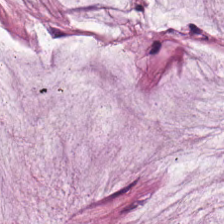H&E-stained tissue section. Q: What tissue type is shown here?
A: The field shows mucin.
